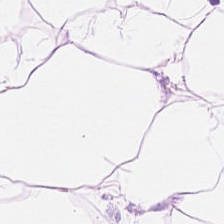Brightfield; H&E-stained tissue section; 0.5 µm per pixel.
This patch shows adipose.
